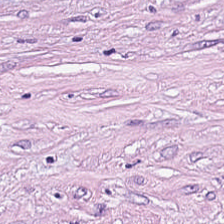0.5 µm/px · hematoxylin and eosin — Showing cancer-associated stroma.
